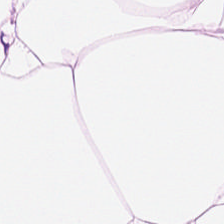This field is fat tissue.
